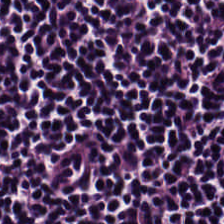H&E; whole-slide-image patch.
{"tissue_type": "lymphoid infiltrate"}
